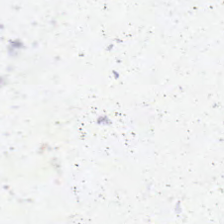Stain: H&E stain.
Content: background (no tissue).
